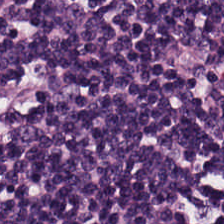H&E — Lymphocyte aggregate.
